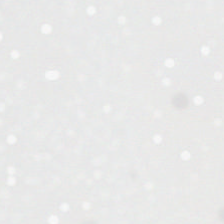Hematoxylin and eosin.
Background — no tissue in this field.
